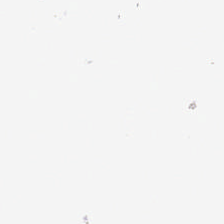FFPE. H&E stain.
Empty field — empty background.
